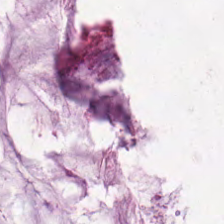Brightfield microscopy · hematoxylin and eosin.
Extracellular mucin.
